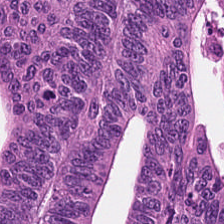Brightfield microscopy · H&E stain · formalin-fixed paraffin-embedded section — Predominantly tumor epithelium.
